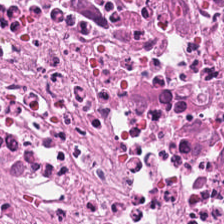Impression — debris.
